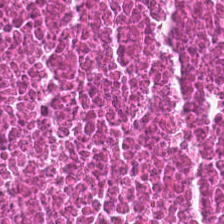20× equivalent magnification; 224×224 px patch; H&E. {"tissue_type": "debris"}
